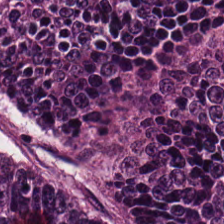Hematoxylin-and-eosin stained section. The predominant tissue is colorectal adenocarcinoma epithelium.
